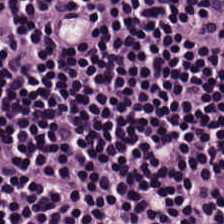0.5 microns per pixel · H&E · 224×224 pixel tile — This field is lymphoid infiltrate.
